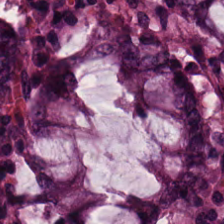224×224 px patch · hematoxylin-and-eosin stained section. This patch shows normal colonic mucosa.
